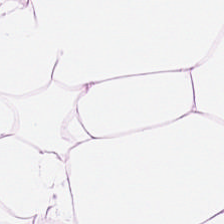H&E-stained tissue section — Q: Identify the tissue.
A: The field shows adipocytes.
